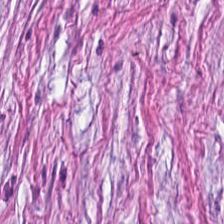20× equivalent magnification; hematoxylin and eosin; 224×224 pixel tile.
Q: What is shown here?
A: This is desmoplastic stroma.
